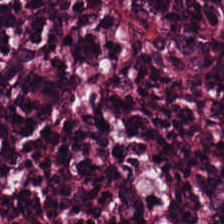Hematoxylin-and-eosin stained section. This field is lymphocytic infiltrate.
